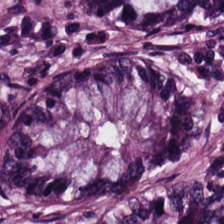H&E.
This field is normal colon mucosa.
